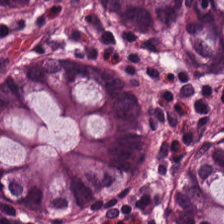H&E-stained tissue section. This patch shows non-neoplastic colon mucosa.
